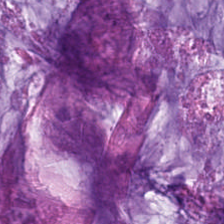Stain: hematoxylin and eosin.
Classification: mucin.
